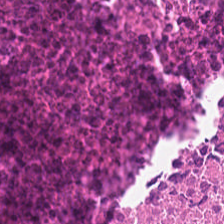H&E-stained tissue section.
Classification: debris.
